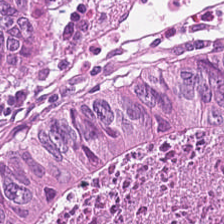Q: What is the predominant tissue type?
A: This is adenocarcinoma.
